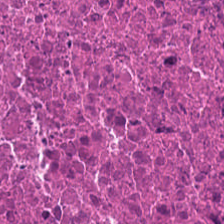H&E-stained tissue section · whole-slide-image patch. The tissue type is debris.
